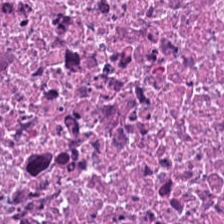H&E stain — Cellular debris.
